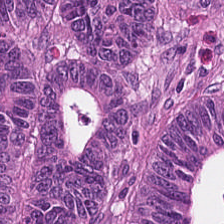H&E-stained tissue section showing tumor epithelium.
